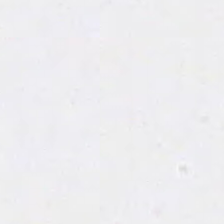H&E. 0.5 µm/px. 224×224 px patch. No tissue present; background only.
